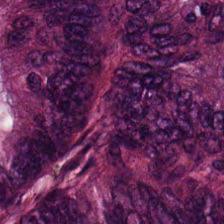224×224 px tile; H&E; 0.5 microns per pixel. Q: What is shown in this field?
A: The field shows tumor epithelium.
